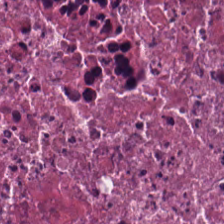H&E-stained tissue section — The tissue here is debris.
